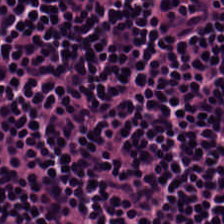Tissue type — lymphocyte aggregate.
